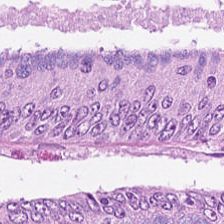H&E-stained tissue section. FFPE.
{"tissue_type": "colorectal adenocarcinoma epithelium"}
